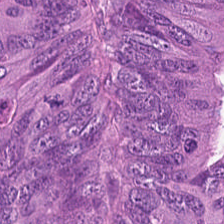Hematoxylin and eosin — {"tissue_type": "malignant epithelium"}
